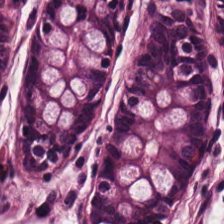H&E-stained tissue section. This field is non-neoplastic colon mucosa.
